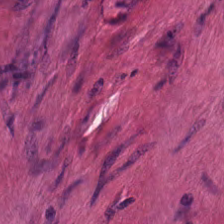H&E. 224×224 pixel tile — Showing muscularis.
